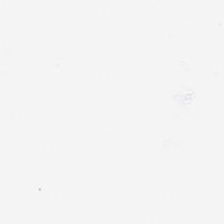Hematoxylin-and-eosin stained section. 224×224 pixel tile. Whole-slide-image patch — Field content = background.
